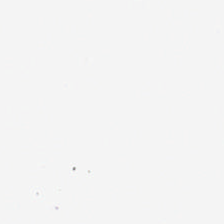H&E-stained tissue section. Classification = empty background.
